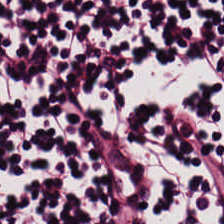H&E stain.
The predominant tissue is lymphocyte aggregate.
